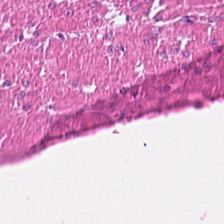Tissue class = smooth-muscle tissue.
